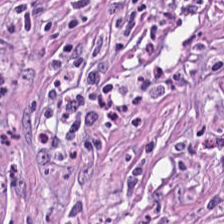H&E-stained tissue section showing tumor-associated stroma.
